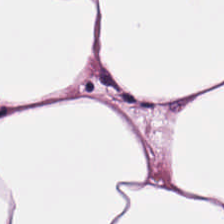Hematoxylin-and-eosin stained section.
Impression → adipocytes.
